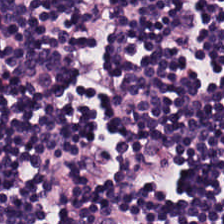Hematoxylin and eosin. {"tissue_type": "lymphoid infiltrate"}
